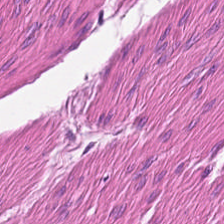H&E stain. Predominantly smooth-muscle tissue.
